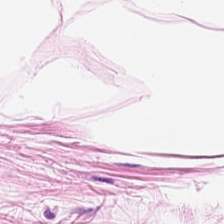Hematoxylin and eosin. 0.5 µm/px.
Tissue class = adipose.
